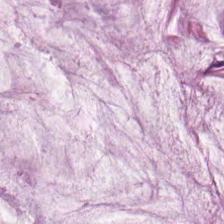Hematoxylin-and-eosin stained section.
Predominantly extracellular mucin.
